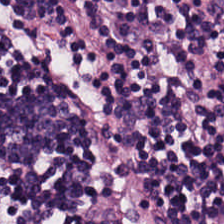Hematoxylin-and-eosin stained section. Q: What tissue type is shown here?
A: The field shows lymphocytic infiltrate.
